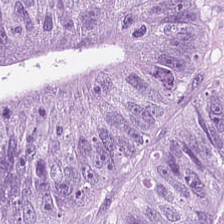H&E stain — Histology — adenocarcinoma.
